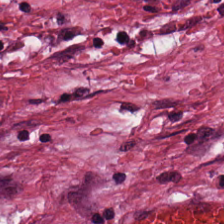H&E stain; WSI patch; 224×224 px patch. This patch shows tumor stroma.
